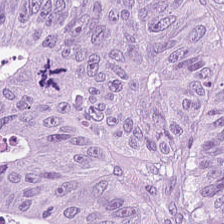Stain: hematoxylin-and-eosin stained section.
Tile size: 224×224 pixel tile.
Tissue type: tumor epithelium.
